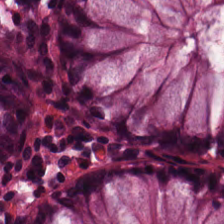Hematoxylin-and-eosin stained section; 0.5 µm/px; brightfield.
Q: What does this patch show?
A: The field shows non-neoplastic colon mucosa.
